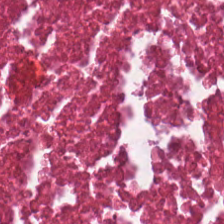Hematoxylin and eosin · 0.5 microns per pixel · 224×224 px patch — This field is cellular debris.
